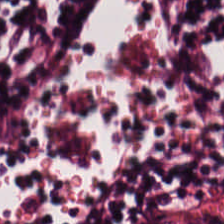H&E — Tissue type = lymphocytes.
